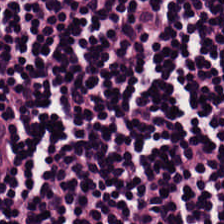Q: What is the predominant tissue type?
A: This is lymphocyte aggregate.
